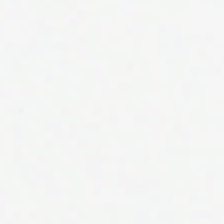H&E — Classification = background.
